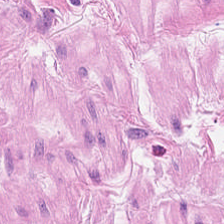Stain: H&E-stained tissue section.
Tissue class: smooth muscle.
